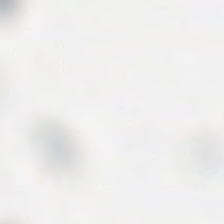FFPE tissue section. Hematoxylin-and-eosin stained section. Whole-slide-image patch.
The field content is empty background.
